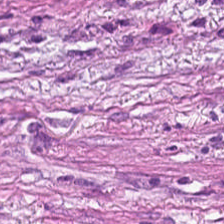H&E; brightfield; formalin-fixed paraffin-embedded section — The classification is desmoplastic stroma.
